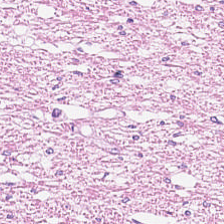Hematoxylin and eosin — Q: What tissue is shown?
A: The field shows smooth muscle.
